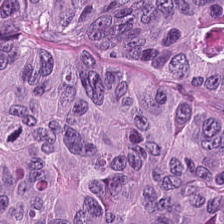H&E. Tissue = malignant epithelium.
